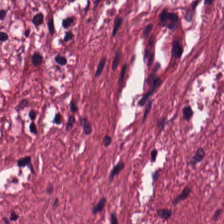Hematoxylin-and-eosin stained section — The tissue here is tumor-associated stroma.
